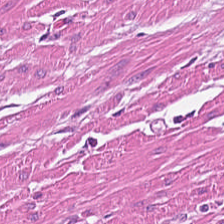H&E-stained tissue section. Predominantly smooth muscle.
